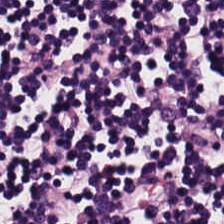FFPE. H&E-stained tissue section. Q: What is the predominant tissue type?
A: Lymphocytic infiltrate.
